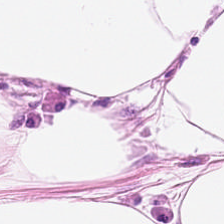Finding → adipose.
